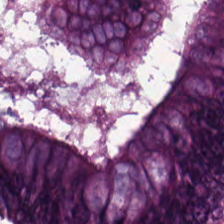Hematoxylin and eosin · whole-slide-image patch.
The predominant tissue is adenocarcinoma.
